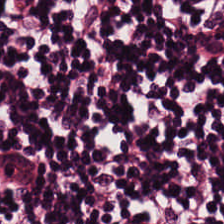H&E stain — This patch shows lymphocytes.
